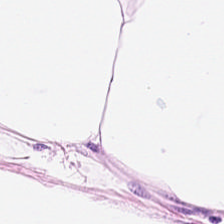Hematoxylin and eosin. This field is adipose tissue.
